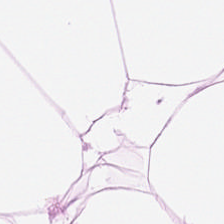224×224 px patch; hematoxylin and eosin.
Showing adipose tissue.
